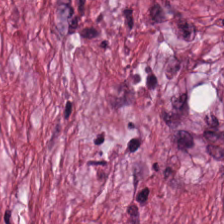0.5 µm per pixel; 224×224 px tile; hematoxylin-and-eosin stained section. {"tissue_type": "desmoplastic stroma"}
